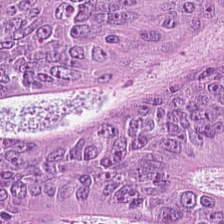This patch shows tumor epithelium.
